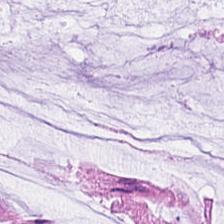Hematoxylin-and-eosin stained section.
Non-neoplastic colon mucosa.
